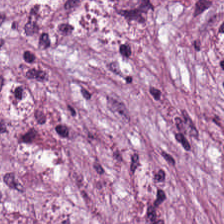This patch shows tumor-associated stroma.
